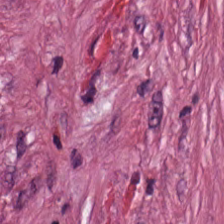Impression — tumor stroma.
